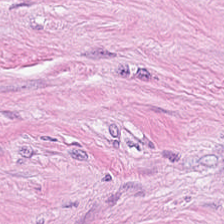H&E. Q: Classify this patch.
A: The field shows tumor-associated stroma.
